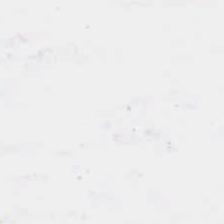Empty background.
